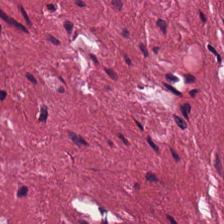Hematoxylin-and-eosin stained section · brightfield · 224×224 pixel tile. This field is desmoplastic stroma.
